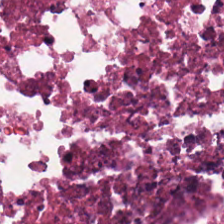H&E-stained tissue section · 224×224 px tile — Q: What tissue type is shown here?
A: This is cellular debris.
